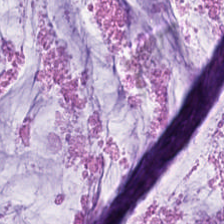H&E. 0.5 µm/px. This patch shows extracellular mucin.
